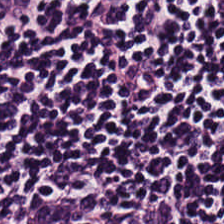224×224 pixel tile. H&E stain.
Histology → lymphocytes.
